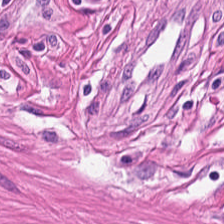Impression — smooth-muscle tissue.
